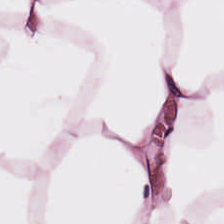H&E stain; FFPE tissue section. This patch shows adipose.
